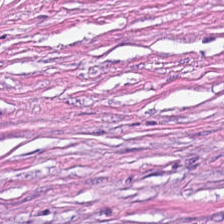Formalin-fixed paraffin-embedded section. Hematoxylin and eosin — Classification — desmoplastic stroma.
